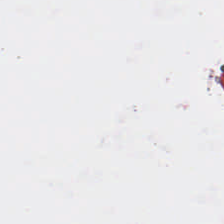H&E stain. Field content: no tissue.
